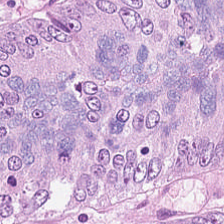Stain: H&E.
Resolution: 0.5 µm per pixel.
Acquisition: whole-slide-image patch.
Tissue: colorectal adenocarcinoma epithelium.
